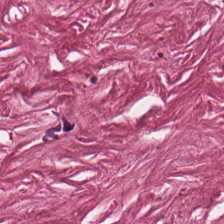H&E-stained tissue section showing cancer-associated stroma.
